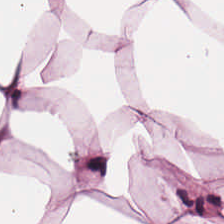Hematoxylin-and-eosin stained section — Predominantly adipose tissue.
